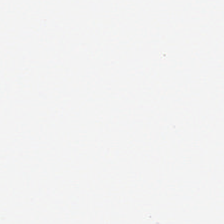The field content is background (no tissue).
